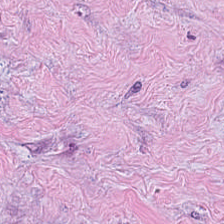The tissue class is tumor stroma.
